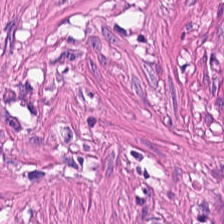H&E stain.
This patch shows smooth-muscle tissue.
